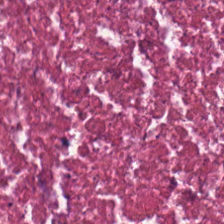H&E stain; brightfield; 0.5 microns per pixel.
Finding — debris.
